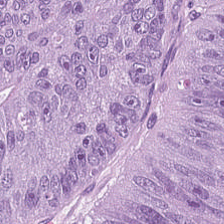H&E-stained tissue section.
This field is adenocarcinoma.
